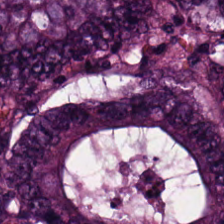H&E-stained tissue section. Q: What is shown here?
A: The field shows colorectal adenocarcinoma.
